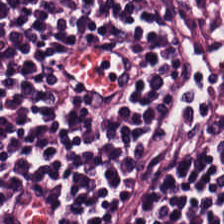Q: What is shown here?
A: This is lymphocytic infiltrate.
